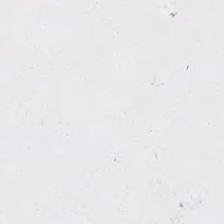Stain: hematoxylin and eosin.
Tile size: 224×224 px patch.
Preparation: formalin-fixed paraffin-embedded section.
Content: no tissue.
